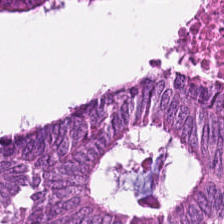H&E stain. Classification: tumor epithelium.
